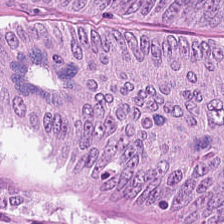0.5 µm per pixel; H&E stain.
Q: What does this patch show?
A: It is adenocarcinoma.
